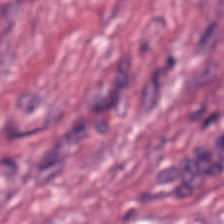Hematoxylin and eosin. 224×224 px tile — {"tissue_type": "tumor-associated stroma"}
